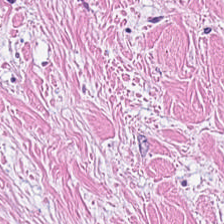H&E — Q: Classify this patch.
A: This is tumor-associated stroma.
